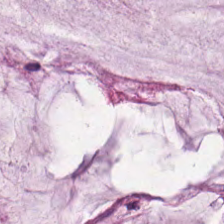Stain: H&E stain.
Tissue: extracellular mucin.
